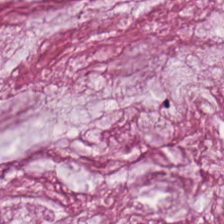H&E stain.
Showing mucus.
